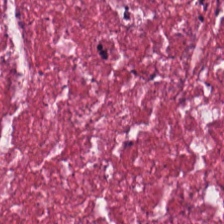0.5 microns per pixel. Brightfield microscopy. H&E-stained tissue section — Impression — desmoplastic stroma.
